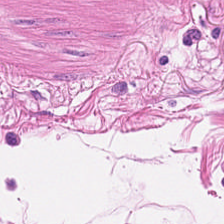Hematoxylin and eosin — Tissue: smooth-muscle tissue.
